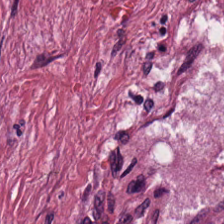Hematoxylin-and-eosin stained section.
Q: What is shown in this field?
A: Desmoplastic stroma.
